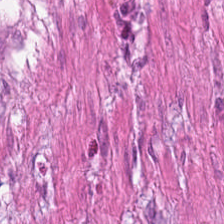Tissue type — muscularis.
